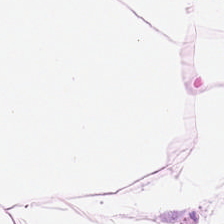Hematoxylin and eosin. The predominant tissue is fat tissue.
